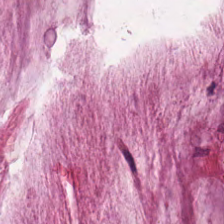Stain: H&E stain.
Tile size: 224×224 px patch.
Predominant tissue: extracellular mucin.
